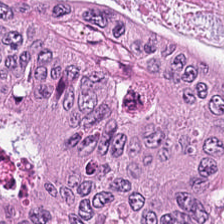Hematoxylin-and-eosin stained section.
Predominantly colorectal adenocarcinoma epithelium.
